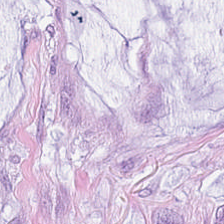FFPE · brightfield microscopy · hematoxylin and eosin — Tissue: mucus.
